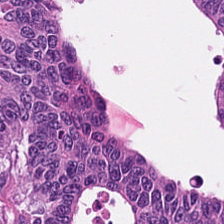FFPE; hematoxylin-and-eosin stained section; 224×224 pixel tile — Predominant tissue = tumor epithelium.
